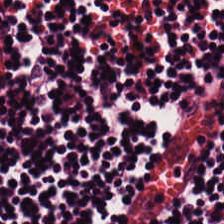Formalin-fixed paraffin-embedded section; brightfield; H&E stain.
{"tissue_type": "lymphoid infiltrate"}
